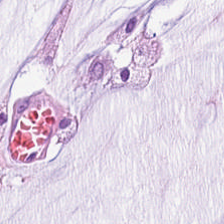Hematoxylin-and-eosin stained section.
Predominantly mucin.
